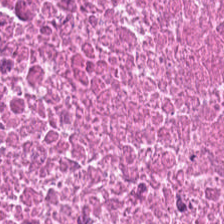20× equivalent magnification; H&E — Q: Classify this patch.
A: The field shows cellular debris.
